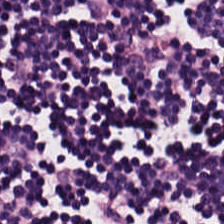Hematoxylin and eosin; 0.5 µm per pixel. Tissue class = lymphoid infiltrate.
